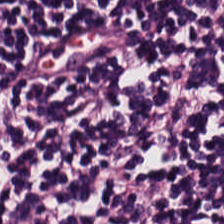FFPE tissue section; H&E stain. {"tissue_type": "lymphocytic infiltrate"}
